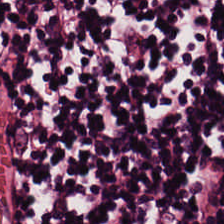H&E-stained tissue section — Predominant tissue — lymphocyte aggregate.
